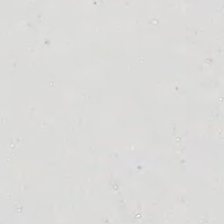Stain: H&E stain.
Classification: empty background.
